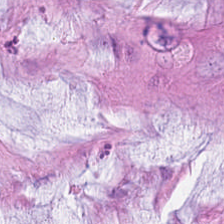Stain: H&E-stained tissue section.
Classification: extracellular mucin.
